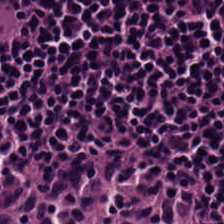{"tissue_type": "lymphocyte aggregate"}
